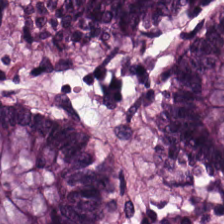This field is benign colonic mucosa.
